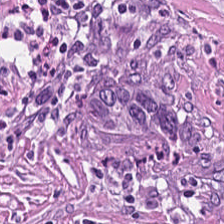Hematoxylin-and-eosin stained section; brightfield microscopy — Predominant tissue: tumor stroma.
